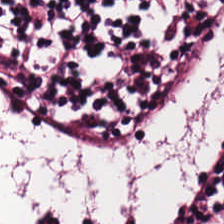Stain: hematoxylin and eosin.
Resolution: 0.5 µm/px.
Acquisition: brightfield.
Tissue type: lymphocyte aggregate.
